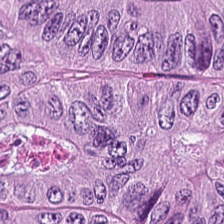Predominant tissue: tumor epithelium.
